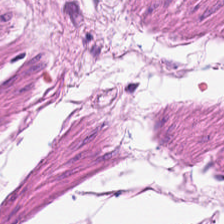Hematoxylin-and-eosin stained section — Q: Identify the tissue.
A: Smooth muscle.
